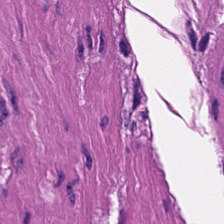Predominant tissue = muscularis.
